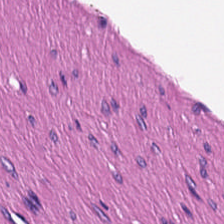H&E. FFPE tissue section. Tissue — smooth-muscle tissue.
